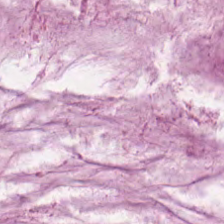H&E stain · brightfield microscopy. This patch shows mucus.
